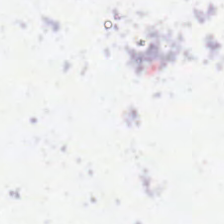H&E stain — Q: What is shown in this field?
A: Background (no tissue).
